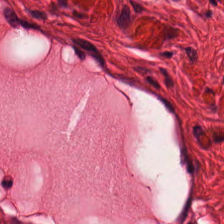Hematoxylin-and-eosin stained section — The predominant tissue is smooth muscle.
